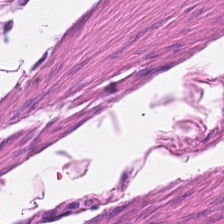H&E stain. Classification — smooth-muscle tissue.
